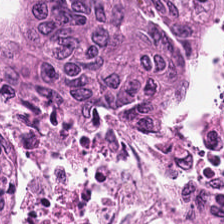H&E-stained tissue section.
The tissue here is adenocarcinoma.
